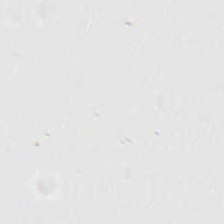H&E stain. Q: What is shown in this field?
A: This is no tissue.
